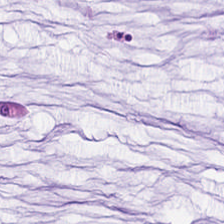Histology → mucin.
